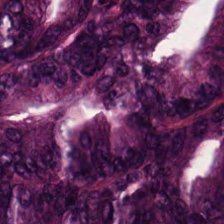H&E-stained tissue section.
Histology → colorectal adenocarcinoma epithelium.
